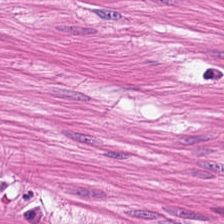H&E-stained section; the field shows smooth-muscle tissue.
